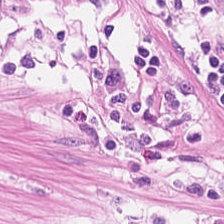H&E-stained tissue section. 0.5 microns per pixel. This field is smooth-muscle tissue.
